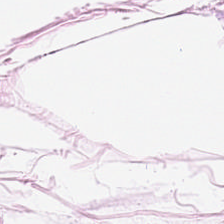Hematoxylin-and-eosin stained section · WSI patch — Classification = adipose.
